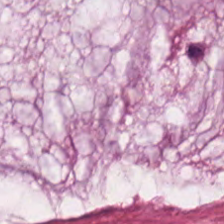Hematoxylin-and-eosin stained section; whole-slide-image patch.
{"tissue_type": "mucin"}
